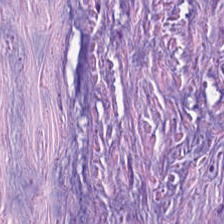Hematoxylin and eosin. Predominantly tumor stroma.
